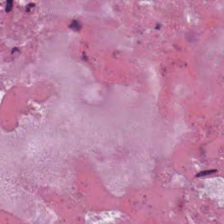H&E stain. The tissue here is debris.
